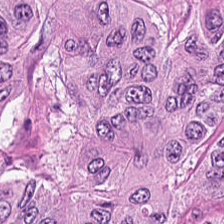Stain: H&E-stained tissue section.
Acquisition: brightfield microscopy.
Resolution: 20× equivalent magnification.
Tissue type: malignant epithelium.
